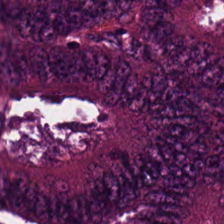Tissue type: colorectal adenocarcinoma.
